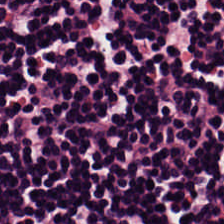H&E-stained tissue section. 224×224 pixel tile. Finding → lymphocytes.
